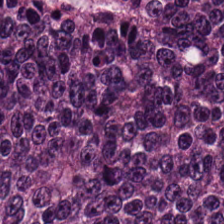H&E-stained tissue section showing tumor epithelium.
